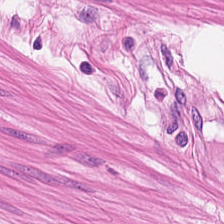Hematoxylin-and-eosin stained section — Q: What is shown in this field?
A: This is smooth muscle.
